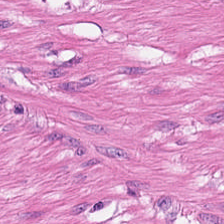Stain: hematoxylin and eosin.
Tissue type: smooth-muscle tissue.
